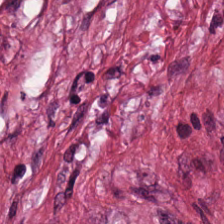The tissue here is tumor-associated stroma.
